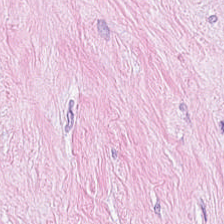H&E patch showing desmoplastic stroma.
